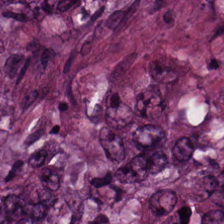H&E stain.
Q: What tissue is shown?
A: Malignant epithelium.
